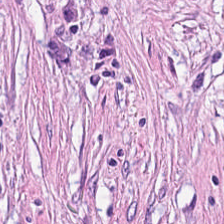Tissue type — tumor-associated stroma.
